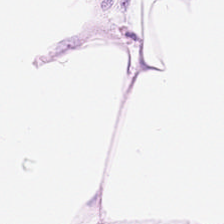This patch shows fat tissue.
